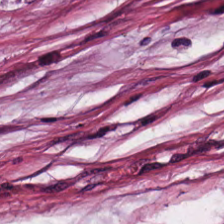This field is desmoplastic stroma.
